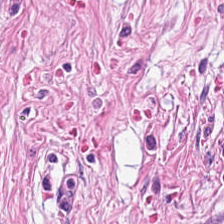Stain: H&E-stained tissue section.
Classification: cancer-associated stroma.
